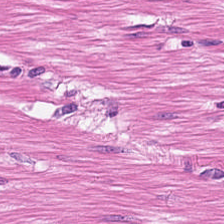Hematoxylin-and-eosin section: smooth muscle.
